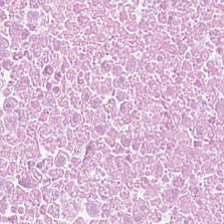0.5 µm/px. H&E-stained tissue section. The tissue class is debris.
